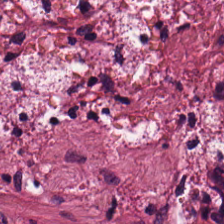The classification is tumor-associated stroma.
